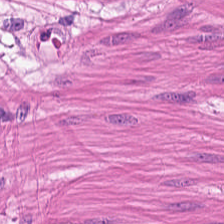224×224 px tile. FFPE. H&E-stained tissue section — Impression → smooth muscle.
